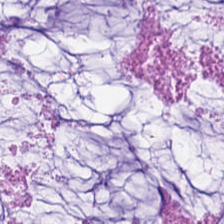H&E-stained tissue section. This patch shows mucus.
